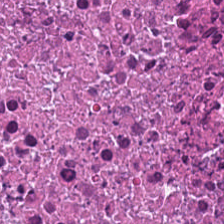Hematoxylin and eosin; FFPE tissue section. {"tissue_type": "cellular debris"}
